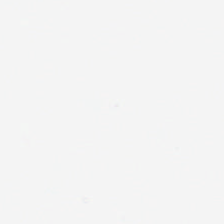Hematoxylin-and-eosin stained section.
Content = no tissue.
